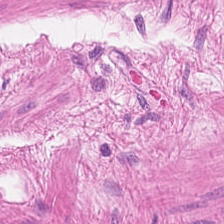Tissue class = smooth-muscle tissue.
